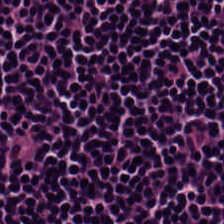H&E stain. The predominant tissue is lymphoid infiltrate.
